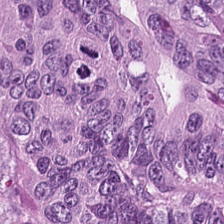Hematoxylin and eosin. Tumor epithelium.
